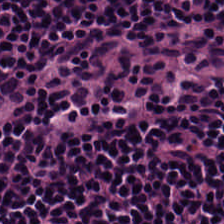0.5 microns per pixel · H&E stain — Q: Identify the tissue.
A: This is lymphoid infiltrate.
